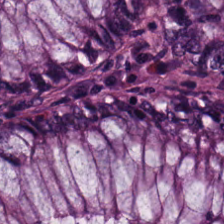H&E stain — Q: Classify this patch.
A: This is normal colon mucosa.
